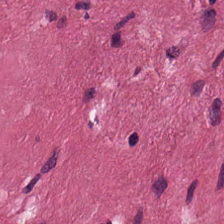Formalin-fixed paraffin-embedded section. H&E-stained tissue section. The tissue type is desmoplastic stroma.
